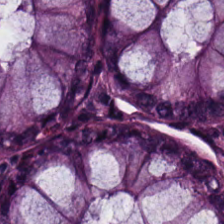Q: What is shown here?
A: Normal colon mucosa.
